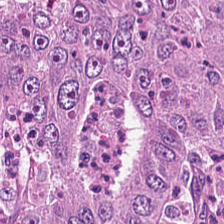Hematoxylin and eosin.
{"tissue_type": "tumor epithelium"}
